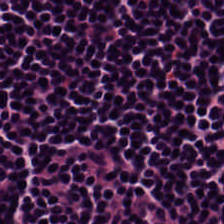H&E-stained tissue section. {"tissue_type": "lymphocyte aggregate"}
